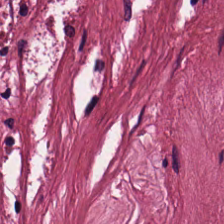H&E stain.
Predominant tissue: desmoplastic stroma.
